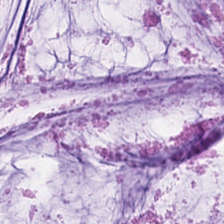This field is mucus.
